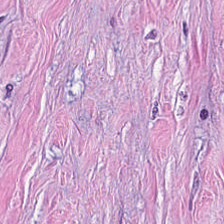0.5 µm per pixel; H&E. This field is cancer-associated stroma.
